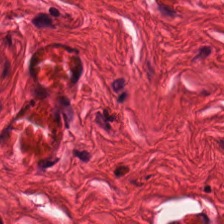20× equivalent magnification · H&E-stained tissue section — Predominantly muscularis.
